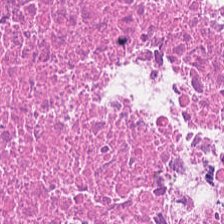Brightfield microscopy. Hematoxylin and eosin.
Q: What is shown here?
A: The field shows necrotic debris.
